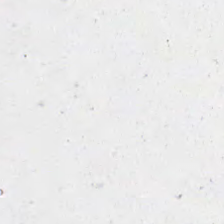Hematoxylin-and-eosin stained section — Q: What is shown here?
A: This is empty background.
